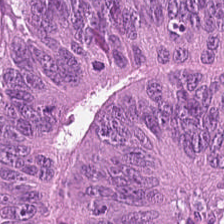This patch shows colorectal adenocarcinoma epithelium.
